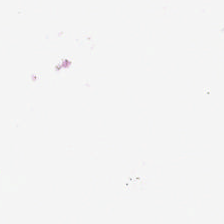The classification is empty background.
